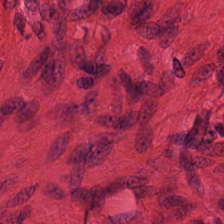224×224 px patch; 0.5 µm/px; H&E-stained tissue section.
The classification is smooth muscle.
